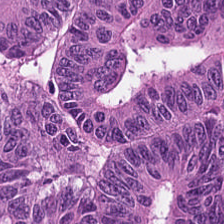Hematoxylin-and-eosin stained section.
Showing colorectal adenocarcinoma.
